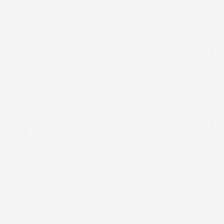Hematoxylin and eosin; formalin-fixed paraffin-embedded section. No tissue.
